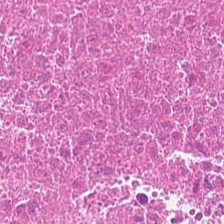Formalin-fixed paraffin-embedded section; hematoxylin-and-eosin stained section — Predominantly debris.
